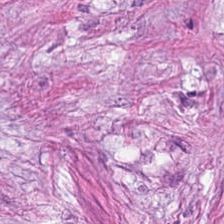H&E stain.
Showing cancer-associated stroma.
